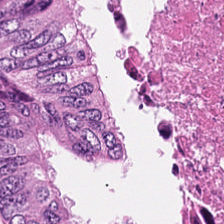H&E-stained tissue section. The tissue here is debris.
